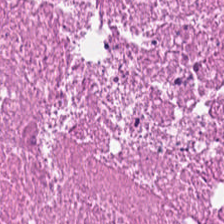H&E stain; FFPE tissue section.
Finding → debris.
